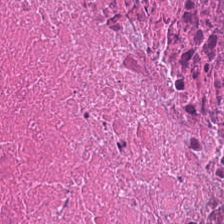224×224 px patch; WSI patch; H&E-stained tissue section.
Classification: necrotic debris.
